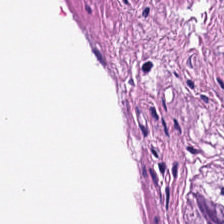Whole-slide-image patch · H&E · 224×224 pixel tile.
This field is muscularis.
